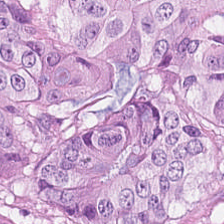H&E-stained tissue section. 0.5 µm per pixel. {"tissue_type": "malignant epithelium"}
